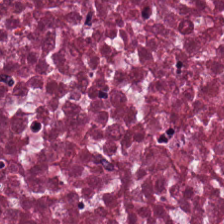H&E — debris.
